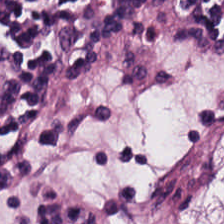Hematoxylin-and-eosin stained section.
Lymphocytes.
